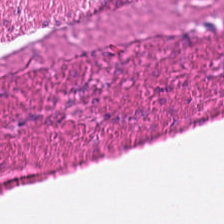0.5 µm/px · WSI patch · H&E-stained tissue section.
The tissue here is muscularis.
